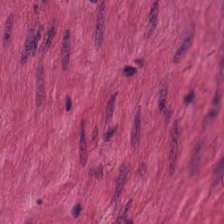FFPE; hematoxylin and eosin; brightfield.
Tissue class = muscularis.
